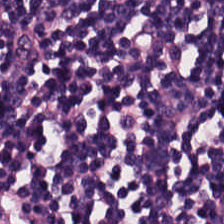FFPE; 224×224 px patch; H&E-stained tissue section — {"tissue_type": "lymphoid infiltrate"}
